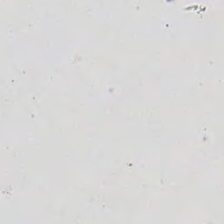H&E-stained tissue section — Impression — background.
